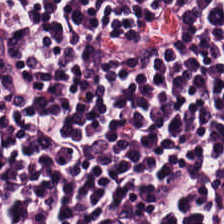The predominant tissue is lymphocytes.
